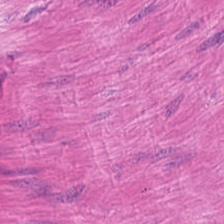This patch shows smooth-muscle tissue.
